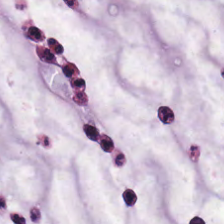H&E-stained tissue section · 20× equivalent magnification.
Tissue type: mucus.
